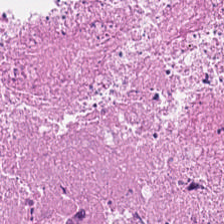H&E stain — {"tissue_type": "cellular debris"}
